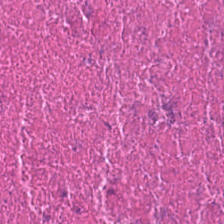FFPE; whole-slide-image patch; H&E-stained tissue section. The tissue here is cellular debris.
